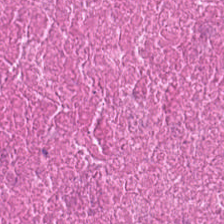224×224 px patch. H&E-stained tissue section — Showing debris.
